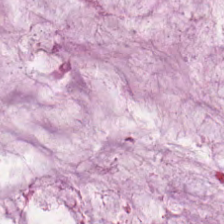{"tissue_type": "mucin"}
